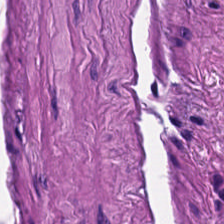H&E-stained tissue section; 224×224 px tile; brightfield.
Predominantly smooth-muscle tissue.
